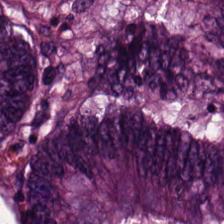The classification is colorectal adenocarcinoma.
